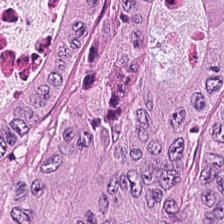H&E stain. WSI patch. Formalin-fixed paraffin-embedded section — This patch shows adenocarcinoma.
